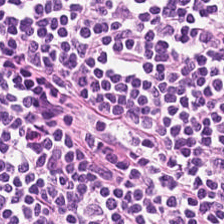Hematoxylin and eosin. Lymphocytic infiltrate.
